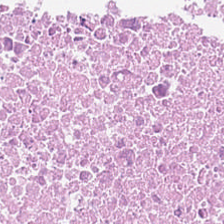Formalin-fixed paraffin-embedded section · hematoxylin-and-eosin stained section · 0.5 microns per pixel.
Q: What does this patch show?
A: The field shows cellular debris.
